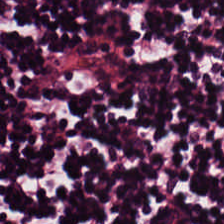H&E stain. Finding — lymphocytic infiltrate.
